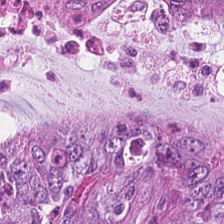FFPE; H&E-stained tissue section.
This patch shows colorectal adenocarcinoma.
